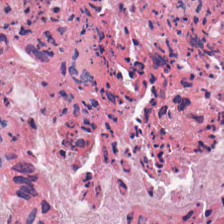H&E.
Tissue type — cellular debris.
